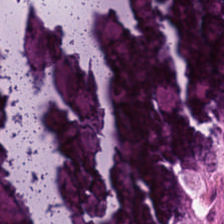Hematoxylin-and-eosin stained section.
Classification: necrotic debris.
